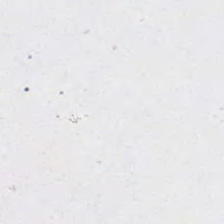H&E stain. The classification is empty background.
